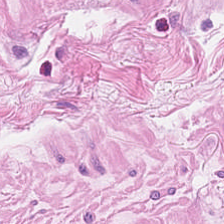H&E; FFPE; 0.5 µm per pixel — Impression → smooth-muscle tissue.
